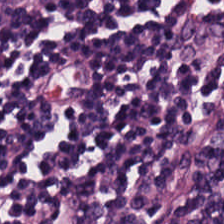H&E-stained tissue section. {"tissue_type": "lymphocyte aggregate"}
